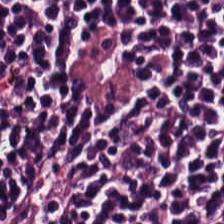Hematoxylin and eosin; 224×224 pixel tile.
Q: What tissue type is shown here?
A: Lymphoid infiltrate.
